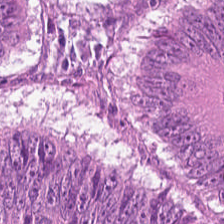224×224 pixel tile; H&E. Classification = malignant epithelium.
